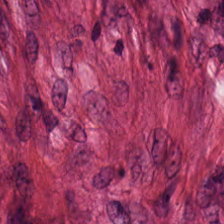Hematoxylin-and-eosin stained section. Predominantly tumor stroma.
